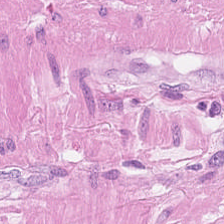Q: Classify this patch.
A: It is smooth-muscle tissue.
